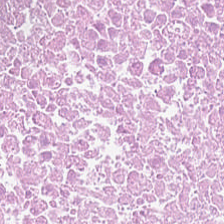224×224 px tile · whole-slide-image patch · H&E-stained tissue section — {"tissue_type": "necrotic debris"}
